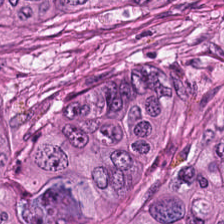H&E-stained tissue section. Predominant tissue — colorectal adenocarcinoma epithelium.
